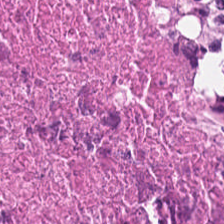Stain: H&E stain.
Resolution: 0.5 microns per pixel.
Tissue class: cellular debris.
